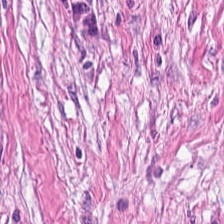H&E — Tissue type — tumor stroma.
